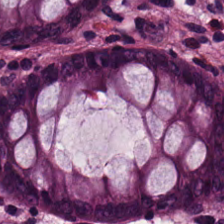Hematoxylin and eosin · 224×224 px tile.
The predominant tissue is non-neoplastic colon mucosa.
